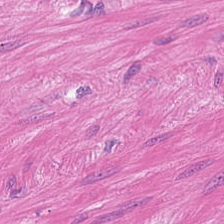Classification = smooth-muscle tissue.
